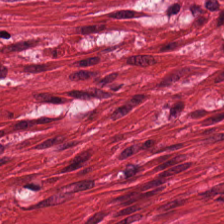Hematoxylin and eosin. Muscularis.
